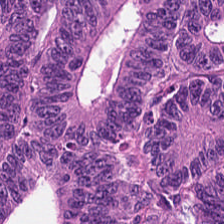Stain: H&E-stained tissue section.
Acquisition: brightfield.
Tissue class: malignant epithelium.
